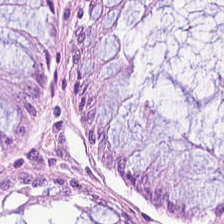Hematoxylin-and-eosin stained section — Q: What is the predominant tissue type?
A: The field shows normal colon mucosa.
